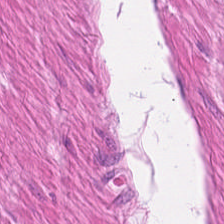H&E patch showing smooth-muscle tissue.
